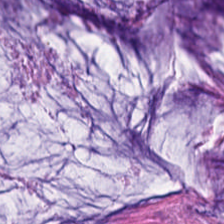H&E stain. This field is extracellular mucin.
